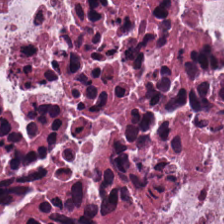{"tissue_type": "necrotic debris"}
